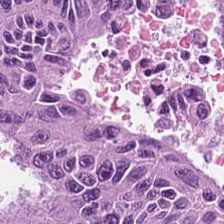H&E-stained tissue section — {"tissue_type": "adenocarcinoma"}
